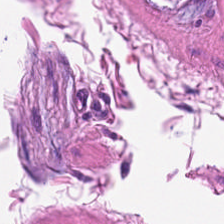H&E — Finding → smooth muscle.
